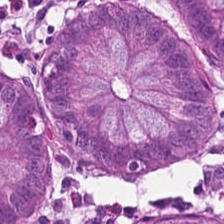Hematoxylin and eosin; 20× equivalent magnification; FFPE tissue section.
This field is non-neoplastic colon mucosa.
